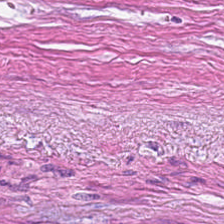The predominant tissue is cancer-associated stroma.
